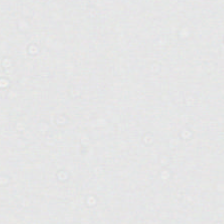H&E. No tissue present; background only.
